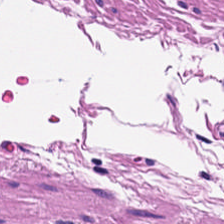Hematoxylin-and-eosin stained section.
The tissue class is muscularis.
